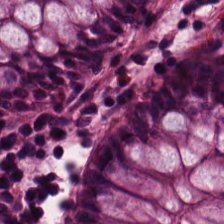H&E stain.
{"tissue_type": "normal colon mucosa"}
